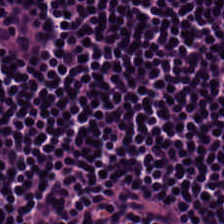Hematoxylin and eosin.
Q: Identify the tissue.
A: It is lymphocytes.
